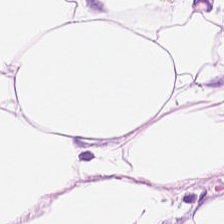FFPE tissue section · brightfield microscopy · H&E stain.
Tissue type: fat tissue.
